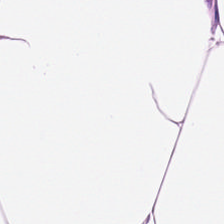Hematoxylin and eosin — Showing adipocytes.
